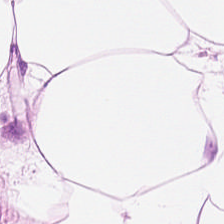H&E.
This patch shows adipose tissue.
